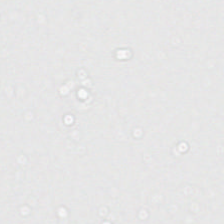{"content": "background"}
